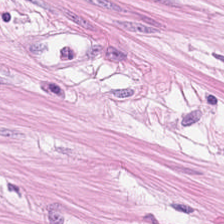Q: What is shown here?
A: Muscularis.
